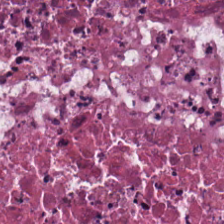H&E-stained tissue section. The predominant tissue is necrotic debris.
